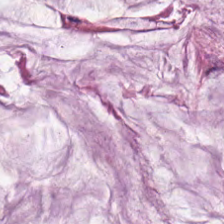H&E-stained tissue section. 224×224 px tile — Predominant tissue: mucus.
